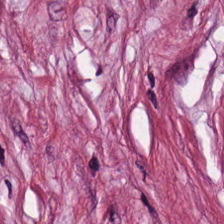Q: What type of tissue is this?
A: The field shows cancer-associated stroma.
